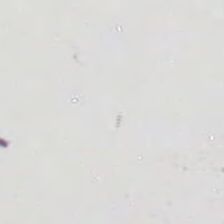Q: What is shown in this field?
A: The field shows background.
